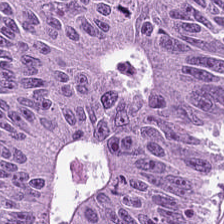Classification: colorectal adenocarcinoma epithelium.
